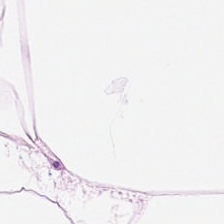H&E — Tissue class — adipose.
